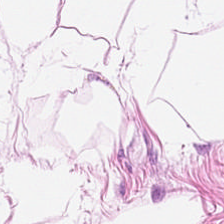FFPE tissue section; hematoxylin-and-eosin stained section; 0.5 microns per pixel — Tissue — adipose.
